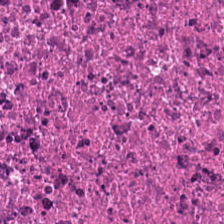H&E stain. Tissue type — debris.
